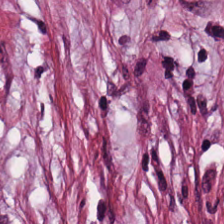Hematoxylin-and-eosin stained section — This field is tumor stroma.
